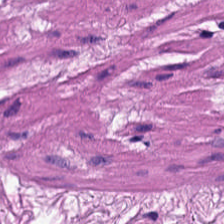H&E stain; 224×224 px tile.
Q: What is shown in this field?
A: The field shows smooth muscle.
